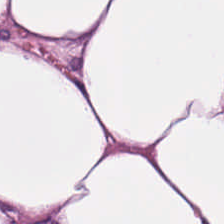H&E stain.
This field is adipose tissue.
